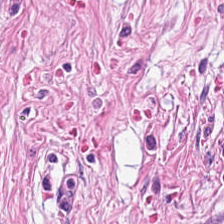Tissue: cancer-associated stroma.
